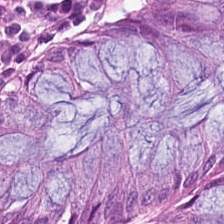H&E. FFPE. 0.5 µm/px.
This field is benign colonic mucosa.
